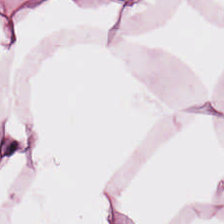H&E; formalin-fixed paraffin-embedded section — Fat tissue.
